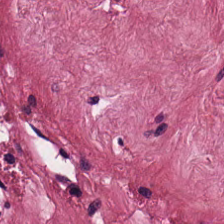Tissue = desmoplastic stroma.
